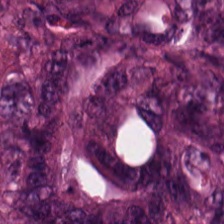Predominant tissue — malignant epithelium.
